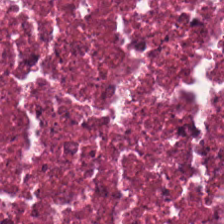Q: What is shown here?
A: Debris.
